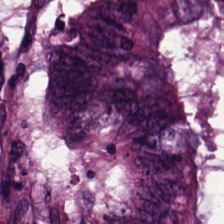H&E-stained tissue section · FFPE tissue section · brightfield microscopy. Predominantly adenocarcinoma.
